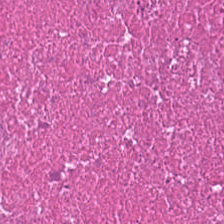Predominant tissue — debris.
